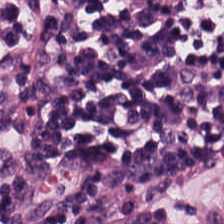H&E-stained tissue section — Impression → lymphocytic infiltrate.
